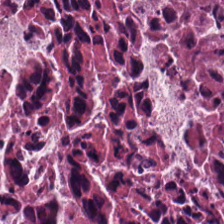Hematoxylin-and-eosin stained section. Predominantly debris.
